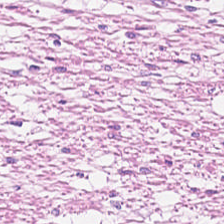H&E · WSI patch — {"tissue_type": "smooth-muscle tissue"}
